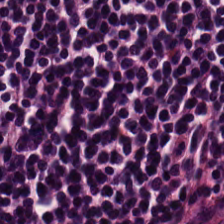Hematoxylin-and-eosin stained section. Tissue type — lymphoid infiltrate.
